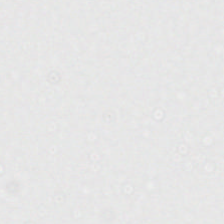No tissue.
